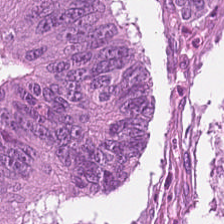Hematoxylin and eosin; 0.5 µm/px.
This patch shows adenocarcinoma.
